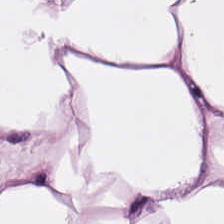The classification is adipocytes.
